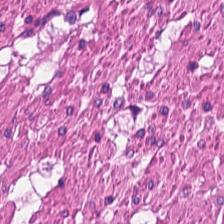H&E stain. Q: What is shown here?
A: Smooth muscle.
